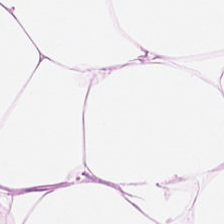Hematoxylin and eosin — The predominant tissue is adipose.
